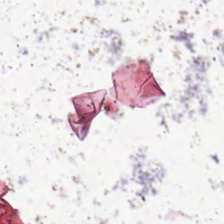H&E-stained tissue section. Classification: background.
